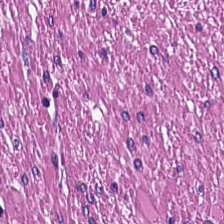Whole-slide-image patch. H&E-stained tissue section. 0.5 µm/px.
The tissue here is muscularis.
